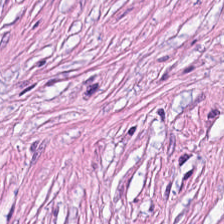H&E. Tissue class — desmoplastic stroma.
